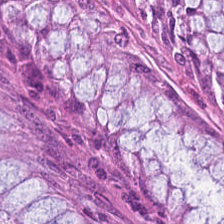Q: Identify the tissue.
A: The field shows normal colon mucosa.
